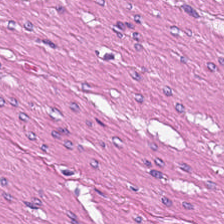H&E. 0.5 microns per pixel. 224×224 px tile. This patch shows smooth-muscle tissue.
